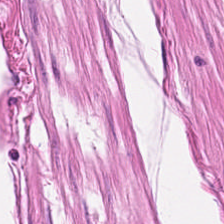0.5 µm/px. H&E — Smooth muscle.
